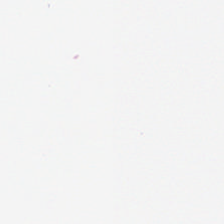Field content — background (no tissue).
